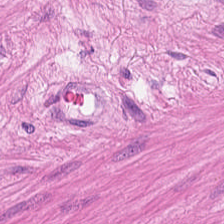224×224 pixel tile · hematoxylin and eosin · 0.5 microns per pixel. Tissue type: smooth-muscle tissue.
